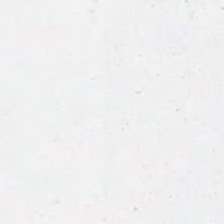0.5 microns per pixel; H&E.
This field is background (no tissue).
